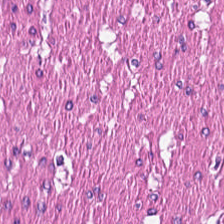H&E. This patch shows smooth muscle.
